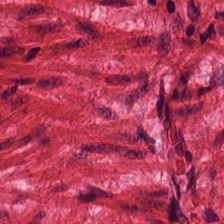Q: What is shown here?
A: Smooth-muscle tissue.
